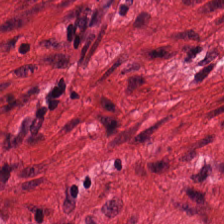Hematoxylin-and-eosin stained section. 224×224 px patch. Classification: muscularis.
